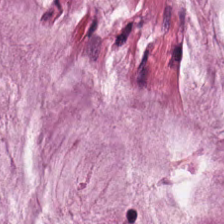Whole-slide-image patch; 20× equivalent magnification; hematoxylin and eosin — Classification: extracellular mucin.
